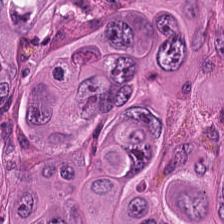FFPE tissue section; hematoxylin and eosin.
Tissue class — adenocarcinoma.
